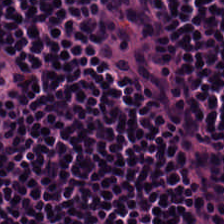Q: What is the predominant tissue type?
A: Lymphoid infiltrate.
